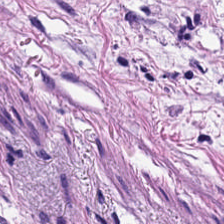H&E. This field is cancer-associated stroma.
